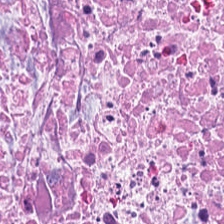20× equivalent magnification; hematoxylin-and-eosin stained section — Showing cellular debris.
